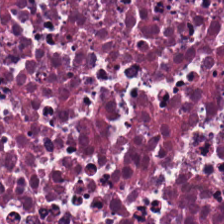H&E. This patch shows cellular debris.
